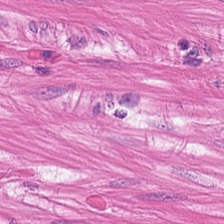Hematoxylin and eosin. Tissue class — smooth muscle.
